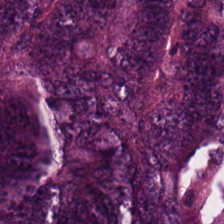Q: What is shown here?
A: It is colorectal adenocarcinoma epithelium.
